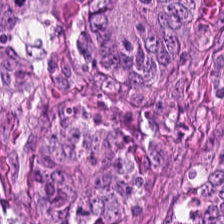Hematoxylin and eosin. Predominant tissue — malignant epithelium.
